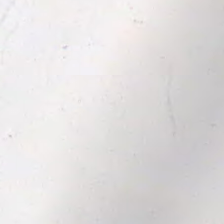H&E-stained tissue section. Finding — no tissue.
